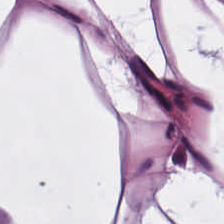0.5 µm per pixel · H&E stain · WSI patch. The tissue class is adipocytes.
